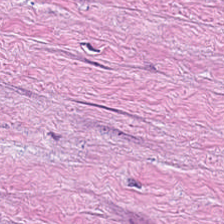Stain: hematoxylin-and-eosin stained section.
Preparation: FFPE tissue section.
Tissue class: cancer-associated stroma.
